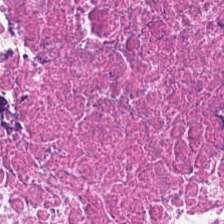Hematoxylin-and-eosin stained section. This patch shows debris.
